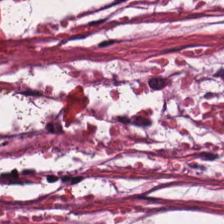H&E-stained tissue section. Predominant tissue = cancer-associated stroma.
